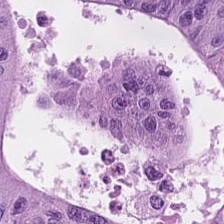H&E-stained tissue section — This patch shows tumor epithelium.
